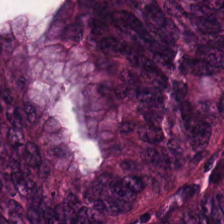H&E-stained tissue section. This patch shows adenocarcinoma.
